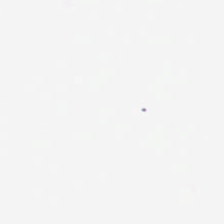H&E — Q: What is shown in this field?
A: No tissue.
